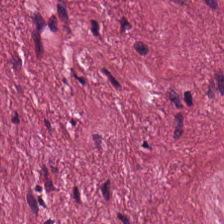Predominant tissue = tumor stroma.
